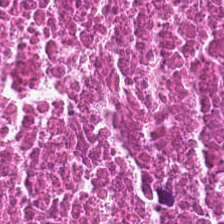224×224 pixel tile · hematoxylin and eosin. The predominant tissue is cellular debris.
